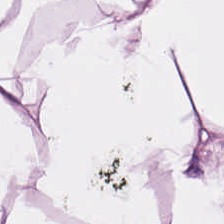H&E-stained tissue section. Tissue = adipose.
